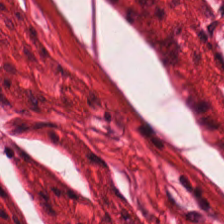Tissue class: muscularis.
